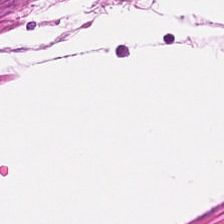H&E — The tissue here is muscularis.
